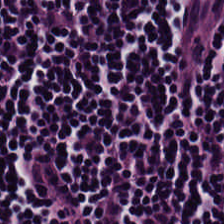224×224 px patch; hematoxylin and eosin; whole-slide-image patch. The tissue type is lymphocytic infiltrate.
